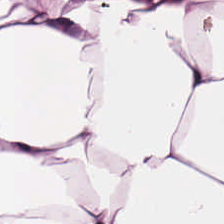Hematoxylin-and-eosin stained section.
Histology — adipose tissue.
